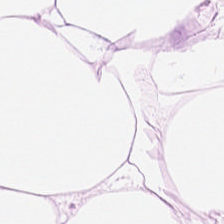The classification is fat tissue.
